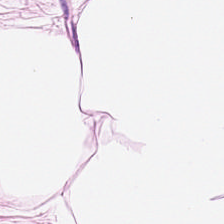{"tissue_type": "adipose tissue"}
